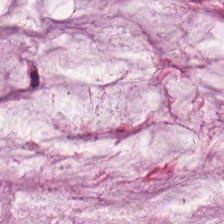Stain: hematoxylin and eosin.
Tissue class: mucin.
